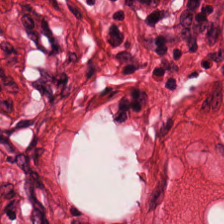Stain: H&E-stained tissue section.
Tissue type: smooth-muscle tissue.
